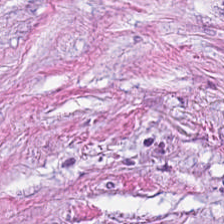0.5 microns per pixel · 224×224 pixel tile · hematoxylin and eosin — Tissue class — tumor-associated stroma.
